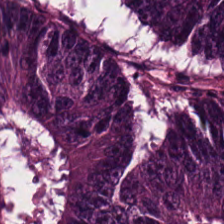224×224 px tile. Hematoxylin and eosin. The predominant tissue is colorectal adenocarcinoma epithelium.
